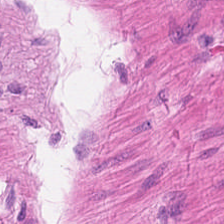Stain: hematoxylin and eosin.
Acquisition: brightfield.
Tissue: smooth-muscle tissue.
